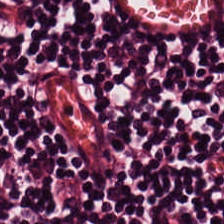Hematoxylin-and-eosin stained section.
This field is lymphocytes.
